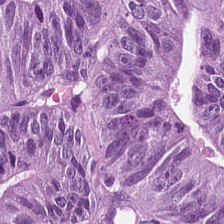Whole-slide-image patch; hematoxylin and eosin; 0.5 µm per pixel.
This patch shows malignant epithelium.
